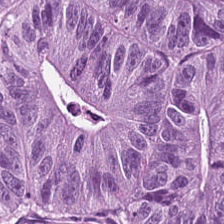H&E-stained tissue section. 0.5 µm/px.
Histology → colorectal adenocarcinoma.
